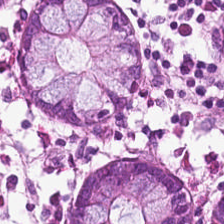Hematoxylin-and-eosin stained section.
Histology — normal colon mucosa.
